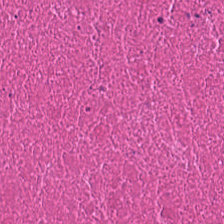H&E-stained tissue section — Necrotic debris.
